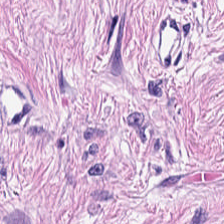Stain: H&E.
Tissue type: tumor-associated stroma.
